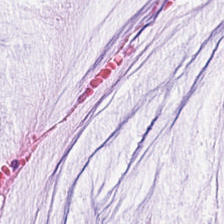H&E stain.
Finding → mucus.
